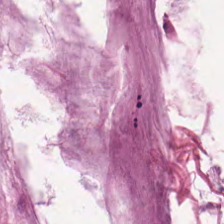H&E-stained tissue section. This field is mucin.
